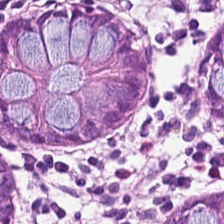H&E.
Classification = normal colon mucosa.
